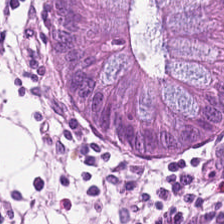Hematoxylin-and-eosin stained section · FFPE.
This patch shows normal colon mucosa.
